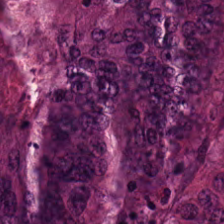The predominant tissue is colorectal adenocarcinoma.
